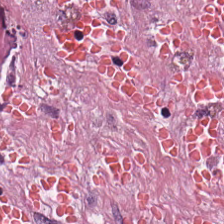H&E stain; formalin-fixed paraffin-embedded section; 224×224 px patch.
This field is tumor stroma.
